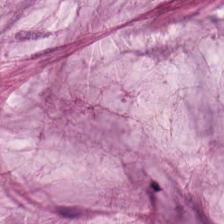H&E stain — Impression → mucin.
